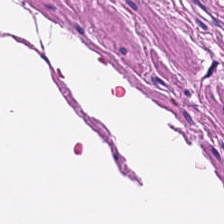H&E.
This field is smooth muscle.
